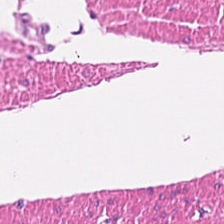H&E-stained tissue section. 224×224 px tile — This field is smooth-muscle tissue.
